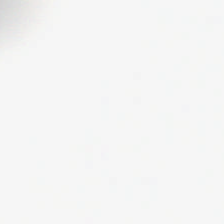H&E — Classification — background.
